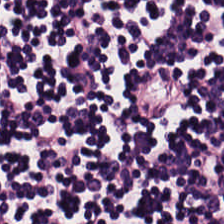Hematoxylin and eosin.
Predominant tissue — lymphocyte aggregate.
